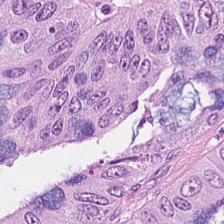Formalin-fixed paraffin-embedded section. Whole-slide-image patch. Hematoxylin and eosin — Predominantly colorectal adenocarcinoma epithelium.
